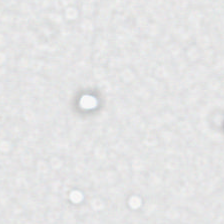224×224 px tile; hematoxylin-and-eosin stained section; WSI patch. This patch shows background (no tissue).
